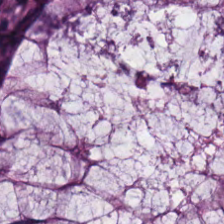H&E-stained tissue section.
Q: Classify this patch.
A: It is non-neoplastic colon mucosa.
